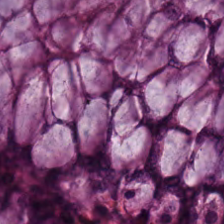H&E-stained tissue section. Impression — non-neoplastic colon mucosa.
